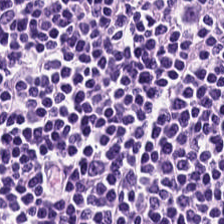Hematoxylin-and-eosin stained section; 224×224 px tile; 0.5 µm/px.
The tissue is lymphocyte aggregate.
